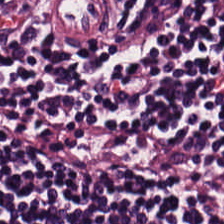This field is lymphocytic infiltrate.
